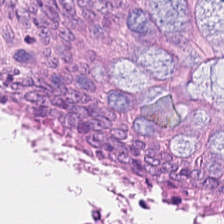FFPE · H&E.
Finding → non-neoplastic colon mucosa.
